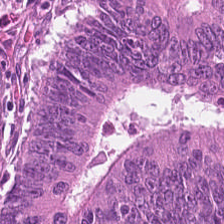H&E-stained tissue section.
{"tissue_type": "malignant epithelium"}
